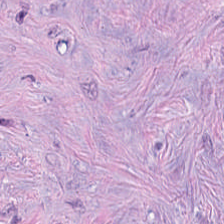Cancer-associated stroma.
